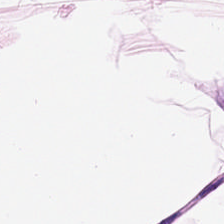H&E-stained tissue section. Classification — adipocytes.
